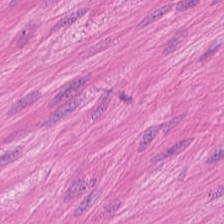H&E-stained tissue section.
Q: What does this patch show?
A: The field shows muscularis.
